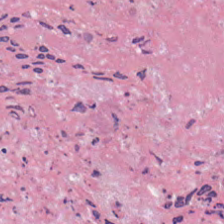Hematoxylin-and-eosin stained section — The predominant tissue is debris.
